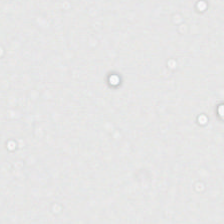Formalin-fixed paraffin-embedded section. H&E. 224×224 px tile.
Q: What is shown in this field?
A: Background (no tissue).
